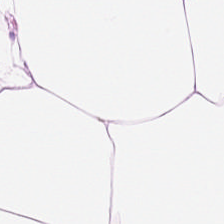Hematoxylin-and-eosin stained section. Impression → adipose tissue.
